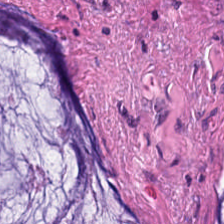Hematoxylin and eosin — Q: What type of tissue is this?
A: Extracellular mucin.
